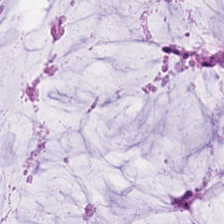Hematoxylin and eosin; 224×224 px patch; FFPE — Q: Identify the tissue.
A: This is mucin.
